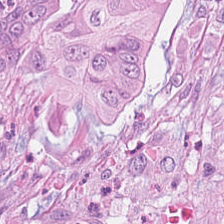Classification = tumor epithelium.
